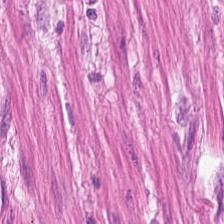H&E-stained tissue section — {"tissue_type": "smooth-muscle tissue"}
